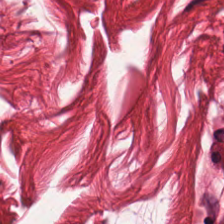Formalin-fixed paraffin-embedded section. Brightfield. H&E — The predominant tissue is muscularis.
